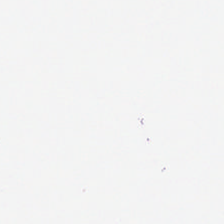Stain: H&E stain.
Field content: background.
